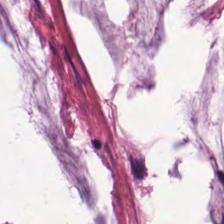H&E stain — Extracellular mucin.
